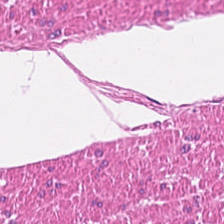H&E-stained tissue section.
Tissue: muscularis.
